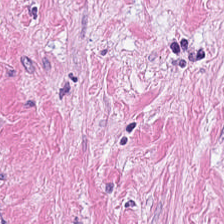Predominantly tumor stroma.
